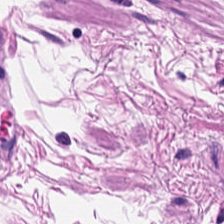Whole-slide-image patch; H&E-stained tissue section. Predominantly muscularis.
